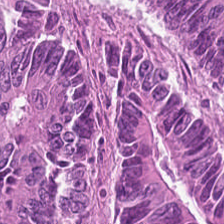Hematoxylin-and-eosin stained section. 20× equivalent magnification.
This patch shows malignant epithelium.
